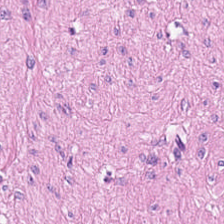H&E stain. Classification — smooth muscle.
